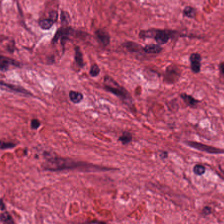H&E — The classification is tumor-associated stroma.
